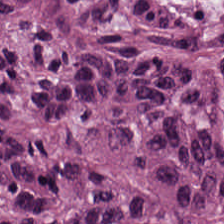H&E-stained tissue section.
Finding → adenocarcinoma.
